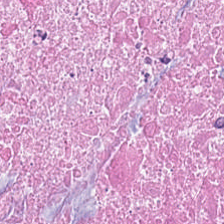Hematoxylin-and-eosin stained section — {"tissue_type": "cellular debris"}
